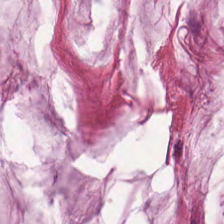224×224 px patch; whole-slide-image patch; hematoxylin-and-eosin stained section.
Q: What tissue is shown?
A: It is mucin.
